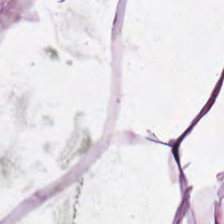H&E — Fat tissue.
